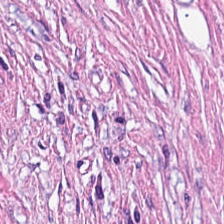H&E-stained tissue section.
Predominantly desmoplastic stroma.
